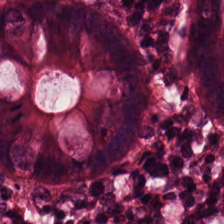Formalin-fixed paraffin-embedded section. H&E stain — This patch shows benign colonic mucosa.
